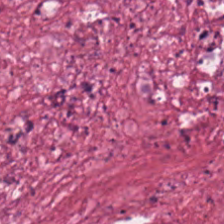Hematoxylin and eosin — Q: What tissue type is shown here?
A: This is tumor stroma.
